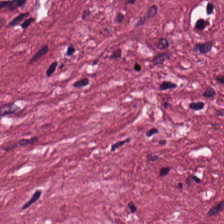Stain: H&E stain.
Predominant tissue: desmoplastic stroma.
